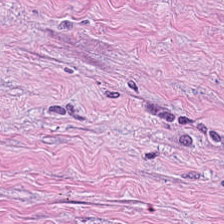Predominantly desmoplastic stroma.
